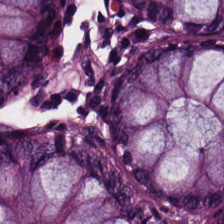H&E-stained tissue section. Tissue type — non-neoplastic colon mucosa.
